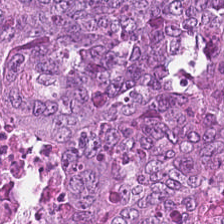H&E. The tissue here is adenocarcinoma.
